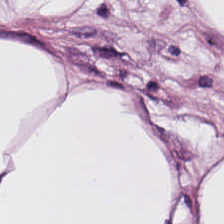H&E — Predominantly fat tissue.
